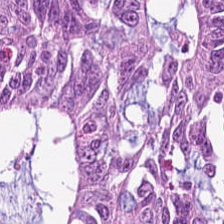H&E stain · 20× equivalent magnification — Tissue class — tumor epithelium.
